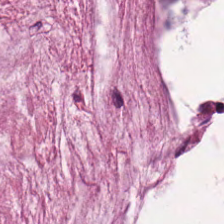Stain: hematoxylin and eosin.
Classification: extracellular mucin.
